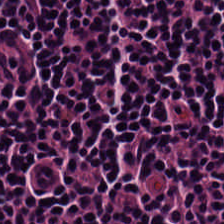H&E · FFPE tissue section — Q: What does this patch show?
A: This is lymphoid infiltrate.
